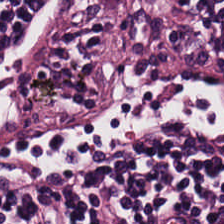H&E-stained tissue section.
Q: What does this patch show?
A: This is lymphoid infiltrate.
